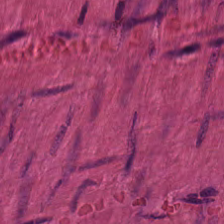Q: What tissue type is shown here?
A: It is smooth-muscle tissue.
